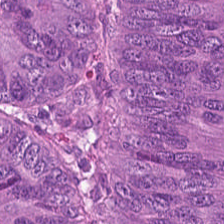H&E-stained tissue section. The tissue class is tumor epithelium.
